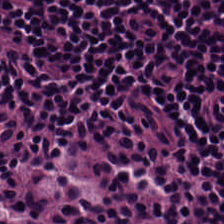Tissue class: lymphocytes.
